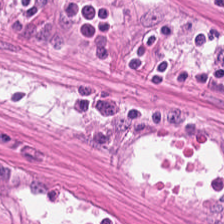H&E stain — This patch shows smooth muscle.
